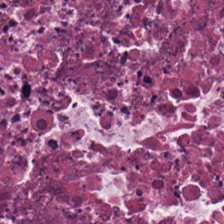Tissue class: debris.
